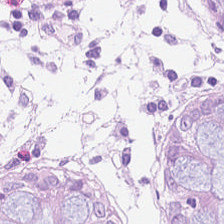Brightfield. Hematoxylin-and-eosin stained section. 224×224 px tile — Tissue type: normal colon mucosa.
